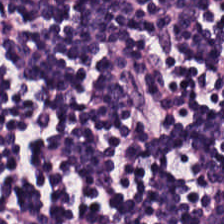H&E stain · FFPE · whole-slide-image patch. The predominant tissue is lymphoid infiltrate.
